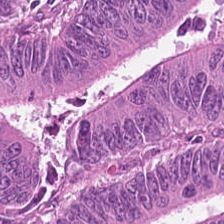The classification is colorectal adenocarcinoma.
